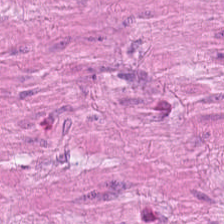H&E-stained tissue section. 224×224 pixel tile.
Finding — muscularis.
